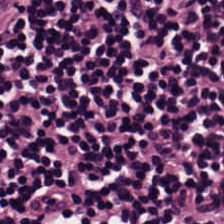H&E stain.
Q: What tissue type is shown here?
A: Lymphocytes.
